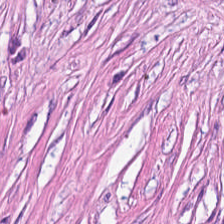Stain: H&E.
Classification: desmoplastic stroma.
